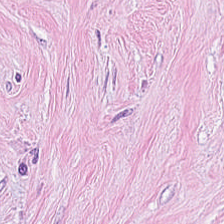Tissue class: tumor-associated stroma.
